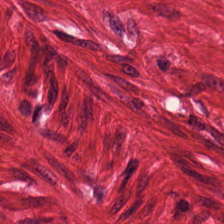This field is smooth-muscle tissue.
